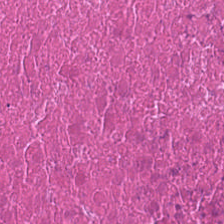Formalin-fixed paraffin-embedded section. H&E. 20× equivalent magnification — Predominant tissue: cellular debris.
